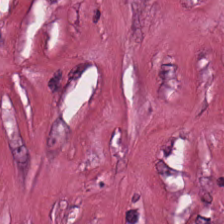Stain: H&E stain.
Tile size: 224×224 pixel tile.
Tissue: tumor-associated stroma.
